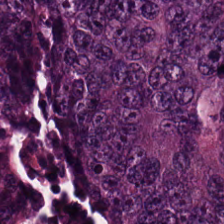Q: What tissue is shown?
A: The field shows tumor epithelium.
